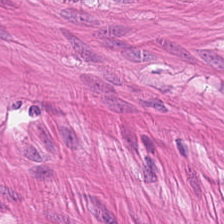Formalin-fixed paraffin-embedded section; H&E. The classification is smooth muscle.
